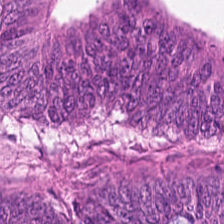Hematoxylin and eosin · FFPE tissue section — Tumor epithelium.
